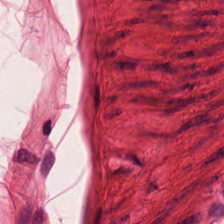Showing smooth-muscle tissue.
